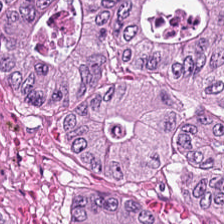0.5 µm/px; H&E — This field is adenocarcinoma.
